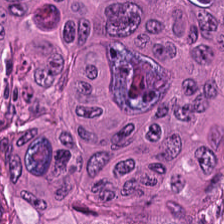Hematoxylin and eosin.
This field is colorectal adenocarcinoma epithelium.
